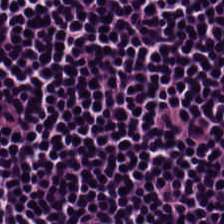Hematoxylin and eosin.
Q: What tissue is shown?
A: The field shows lymphocyte aggregate.
